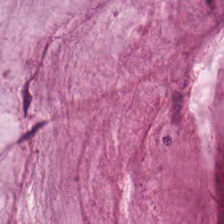Hematoxylin-and-eosin stained section.
Predominantly mucin.
